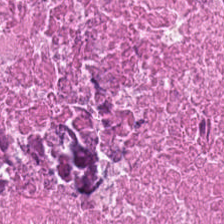H&E-stained tissue section.
Tissue type — cellular debris.
